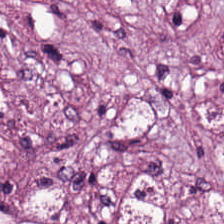WSI patch · H&E · 224×224 pixel tile — Impression — desmoplastic stroma.
